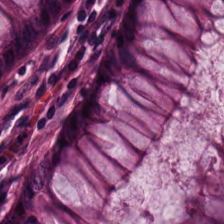H&E patch showing normal colonic mucosa.
